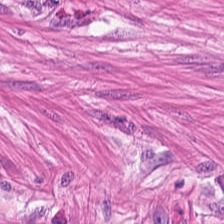FFPE tissue section · hematoxylin and eosin — Q: What tissue type is shown here?
A: Smooth muscle.
